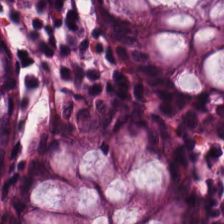224×224 pixel tile · H&E-stained tissue section. Histology → non-neoplastic colon mucosa.
